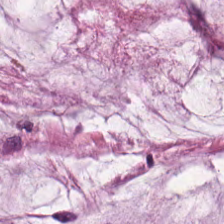Q: Classify this patch.
A: This is extracellular mucin.
